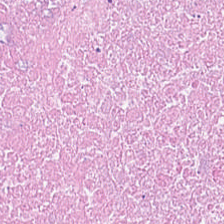H&E stain · 0.5 µm per pixel.
The predominant tissue is necrotic debris.
